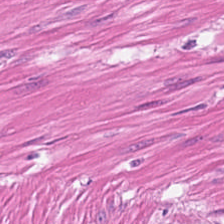0.5 µm/px · H&E-stained tissue section. This field is smooth-muscle tissue.
